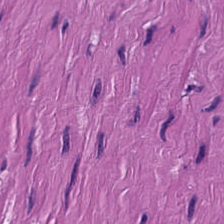The predominant tissue is smooth-muscle tissue.
